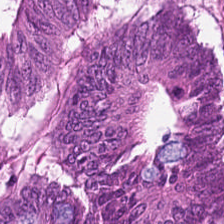Hematoxylin and eosin · 0.5 µm per pixel — The tissue here is tumor epithelium.
